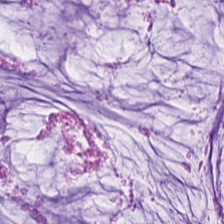H&E · 0.5 microns per pixel.
Classification: mucus.
